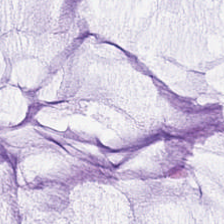Hematoxylin-and-eosin stained section.
Tissue type — extracellular mucin.
